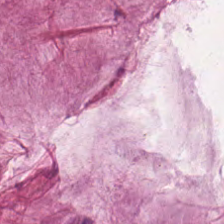Finding — mucus.
